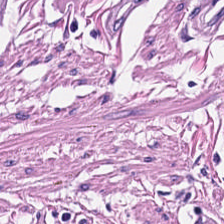Q: What does this patch show?
A: This is smooth muscle.
